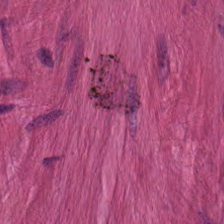Q: What is shown in this field?
A: The field shows muscularis.
